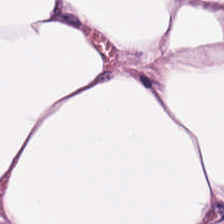Q: What tissue type is shown here?
A: The field shows adipose tissue.
